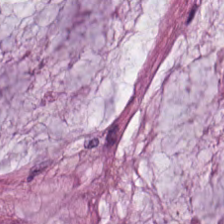Tissue = mucus.
